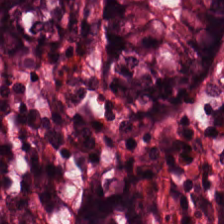H&E-stained tissue section; whole-slide-image patch; 20× equivalent magnification — Predominant tissue = benign colonic mucosa.
